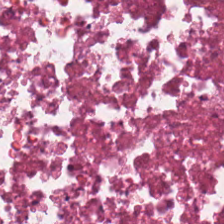Hematoxylin and eosin. Finding → debris.
